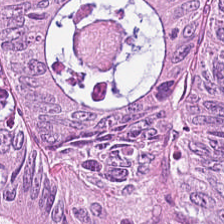Hematoxylin and eosin. The tissue is colorectal adenocarcinoma epithelium.
